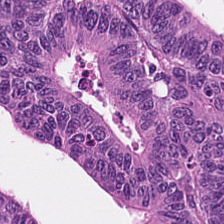224×224 px patch. Hematoxylin-and-eosin stained section. This field is colorectal adenocarcinoma epithelium.
